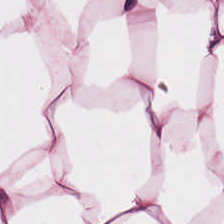Hematoxylin and eosin. Showing adipose tissue.
